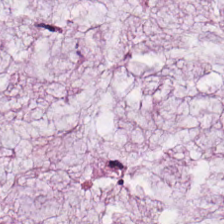Hematoxylin and eosin. Mucus.
